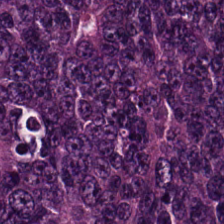Stain: H&E.
Classification: colorectal adenocarcinoma.
